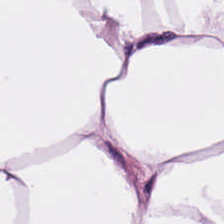Stain: H&E.
Predominant tissue: fat tissue.
